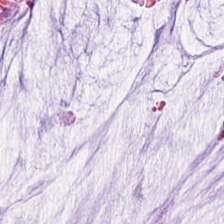Tissue class: mucin.
